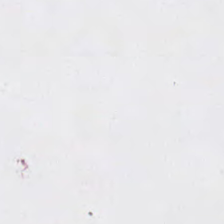Stain: H&E-stained tissue section.
Preparation: FFPE.
Content: no tissue.
